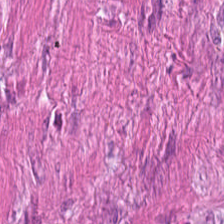H&E-stained tissue section. Classification — smooth muscle.
